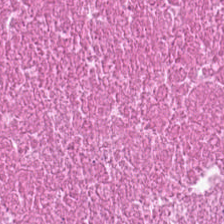Hematoxylin and eosin. The tissue is necrotic debris.
